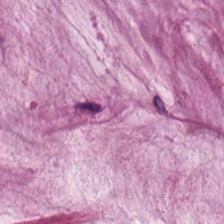Hematoxylin and eosin. Predominantly mucus.
